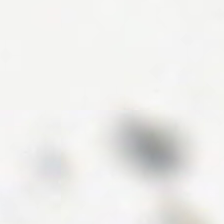224×224 px patch. Hematoxylin-and-eosin stained section. Q: Classify this patch.
A: The field shows empty background.
